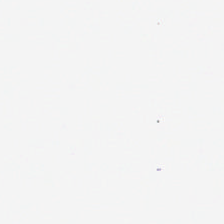Stain: hematoxylin and eosin.
Tile size: 224×224 pixel tile.
Classification: no tissue.
